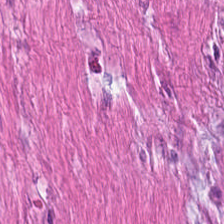0.5 µm/px. Hematoxylin-and-eosin stained section — Smooth-muscle tissue.
